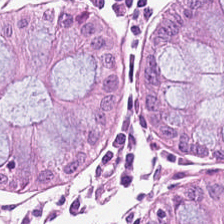This patch shows non-neoplastic colon mucosa.
